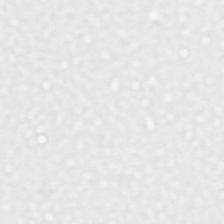224×224 px patch · H&E · brightfield microscopy. Q: What is shown in this field?
A: The field shows background (no tissue).
